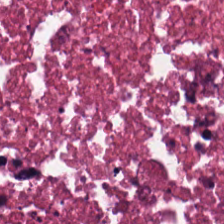Debris.
